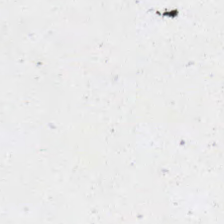FFPE · whole-slide-image patch · H&E — No tissue present; background only.
